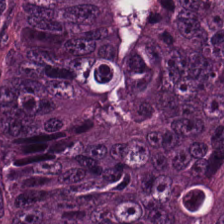Stain: H&E.
Classification: colorectal adenocarcinoma.
